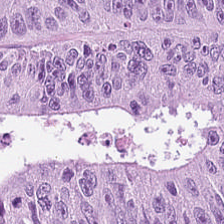224×224 pixel tile; brightfield microscopy; H&E — Tissue = tumor epithelium.
